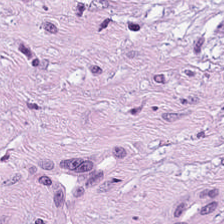Stain: hematoxylin and eosin.
Tissue: cancer-associated stroma.
